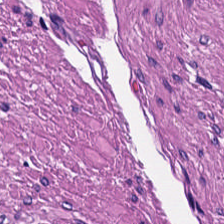H&E. Showing smooth-muscle tissue.
